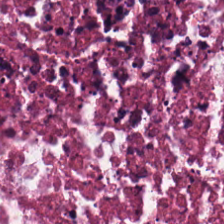H&E stain · 0.5 µm per pixel · 224×224 pixel tile — The tissue here is cellular debris.
